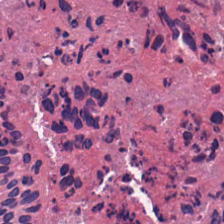Hematoxylin and eosin.
Tissue class — debris.
